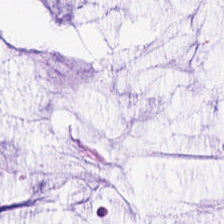Classification — mucus.
